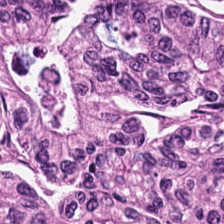0.5 µm per pixel; FFPE; H&E. Q: What does this patch show?
A: The field shows malignant epithelium.
